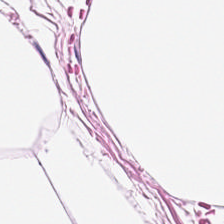Stain: H&E-stained tissue section.
Preparation: formalin-fixed paraffin-embedded section.
Classification: fat tissue.
